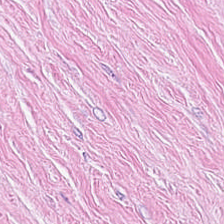20× equivalent magnification · hematoxylin-and-eosin stained section.
Classification = desmoplastic stroma.
